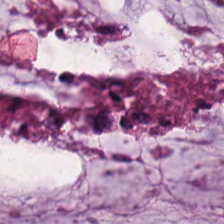Brightfield · H&E stain · 224×224 px patch. The tissue is mucus.
